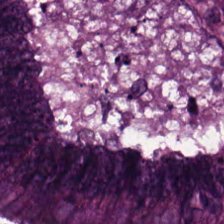{"tissue_type": "adenocarcinoma"}
